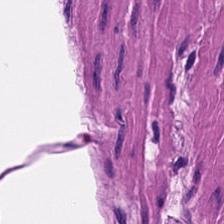H&E stain — {"tissue_type": "muscularis"}
